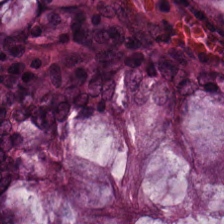Predominantly non-neoplastic colon mucosa.
